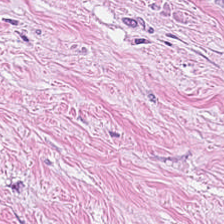H&E. Q: What does this patch show?
A: The field shows tumor-associated stroma.
